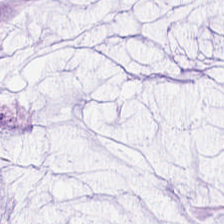{"tissue_type": "mucin"}
